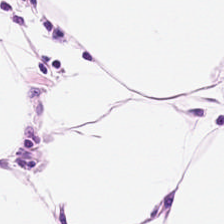H&E stain. Q: What does this patch show?
A: Adipose.
